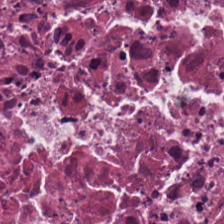Hematoxylin and eosin — Showing debris.
